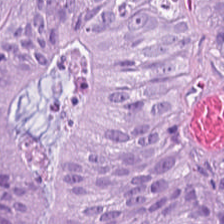WSI patch · H&E-stained tissue section · 0.5 µm/px — The tissue class is adenocarcinoma.
